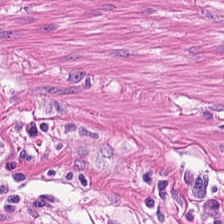Hematoxylin-and-eosin stained section. FFPE. Q: What is the predominant tissue type?
A: It is smooth-muscle tissue.
